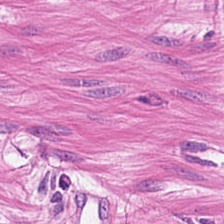This field is smooth-muscle tissue.
